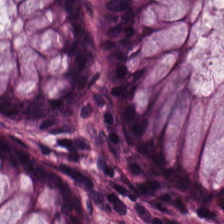Predominantly non-neoplastic colon mucosa.
